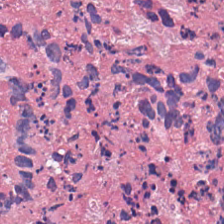H&E-stained tissue section. 0.5 µm per pixel. Whole-slide-image patch.
Histology → cellular debris.
